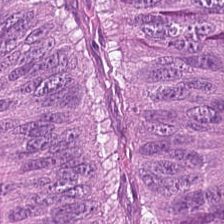This patch shows adenocarcinoma.
